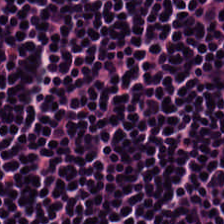Hematoxylin-and-eosin stained section — This field is lymphocyte aggregate.
